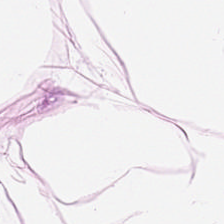H&E · FFPE tissue section · 0.5 µm/px. This field is adipose tissue.
